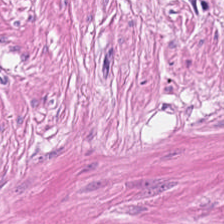H&E — Predominant tissue — smooth muscle.
